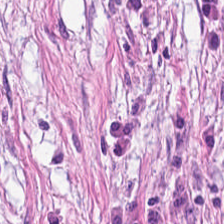0.5 microns per pixel. Hematoxylin-and-eosin stained section — Classification: tumor stroma.
